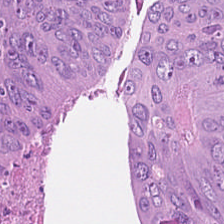Impression — tumor epithelium.
